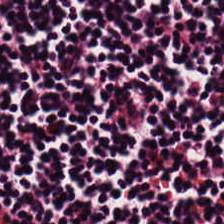H&E stain; FFPE tissue section — The predominant tissue is lymphocyte aggregate.
